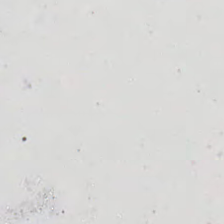H&E-stained tissue section.
Classification — empty background.
